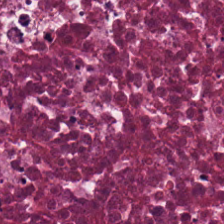Q: What is shown here?
A: This is cellular debris.
